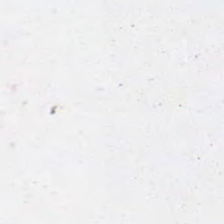H&E — Field content — no tissue.
